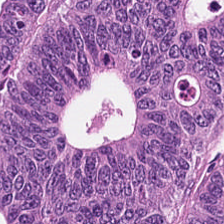H&E — malignant epithelium.
